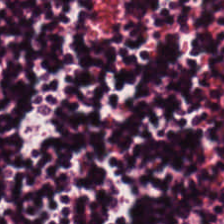0.5 µm/px; H&E; FFPE tissue section.
The tissue here is lymphoid infiltrate.
